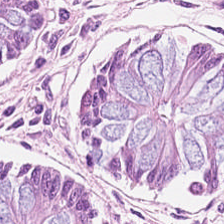Finding — normal colonic mucosa.
